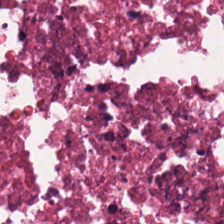H&E · FFPE. {"tissue_type": "debris"}
